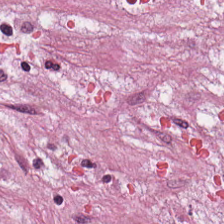Hematoxylin-and-eosin stained section — Tissue class: tumor-associated stroma.
